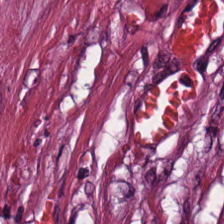Brightfield; H&E stain; FFPE — Finding → tumor stroma.
